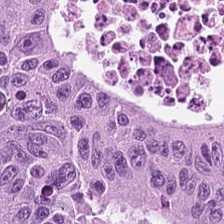Hematoxylin-and-eosin stained section. Q: Identify the tissue.
A: It is adenocarcinoma.
